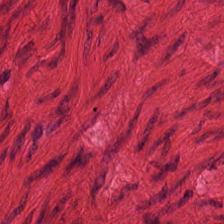H&E · formalin-fixed paraffin-embedded section · 0.5 microns per pixel. Predominantly smooth muscle.
